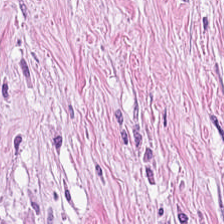Brightfield. Hematoxylin and eosin. Formalin-fixed paraffin-embedded section.
Q: What does this patch show?
A: Tumor stroma.
